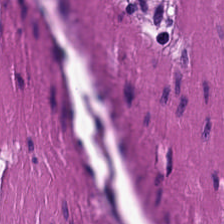This field is muscularis.
